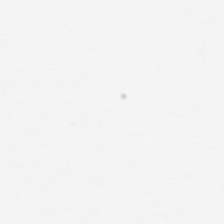H&E — Field content — no tissue.
